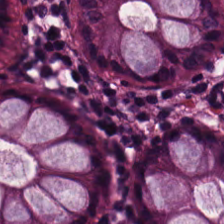Hematoxylin and eosin · 224×224 pixel tile · whole-slide-image patch.
The predominant tissue is non-neoplastic colon mucosa.
